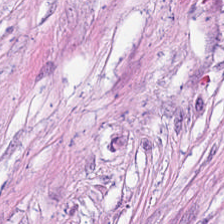Stain: H&E-stained tissue section.
Acquisition: brightfield.
Tissue: tumor-associated stroma.
